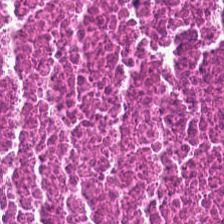Hematoxylin-and-eosin stained section. Q: What does this patch show?
A: The field shows cellular debris.
